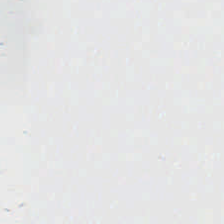Finding → no tissue.
